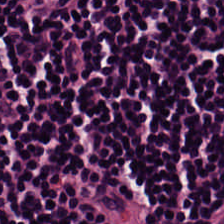Hematoxylin and eosin; whole-slide-image patch.
Predominant tissue — lymphocytic infiltrate.
